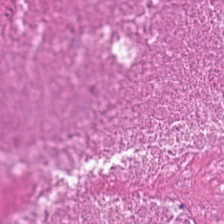Formalin-fixed paraffin-embedded section. Hematoxylin-and-eosin stained section. Brightfield — Q: What is shown in this field?
A: It is debris.
